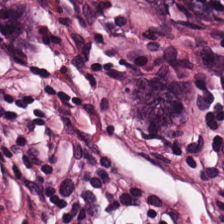Hematoxylin-and-eosin section: benign colonic mucosa.
